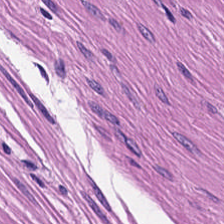FFPE · 224×224 px tile · H&E. Showing muscularis.
